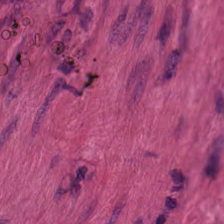224×224 pixel tile; hematoxylin-and-eosin stained section; FFPE — Histology → muscularis.
